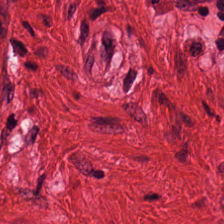Hematoxylin-and-eosin stained section.
Histology — smooth muscle.
